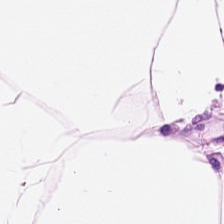Hematoxylin-and-eosin stained section. Impression — fat tissue.
